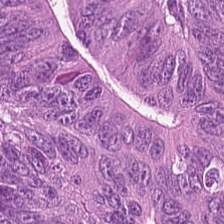224×224 px patch. 0.5 µm per pixel. Hematoxylin-and-eosin stained section.
The predominant tissue is colorectal adenocarcinoma epithelium.
